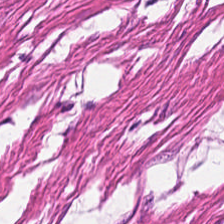This patch shows muscularis.
